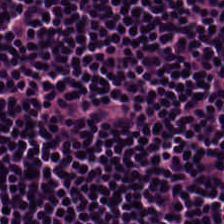20× equivalent magnification; 224×224 px patch; hematoxylin and eosin — The predominant tissue is lymphoid infiltrate.
